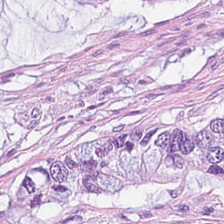H&E stain — This field is extracellular mucin.
